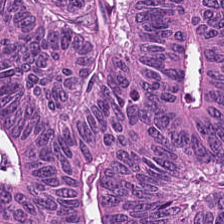Hematoxylin and eosin · brightfield microscopy.
The tissue here is adenocarcinoma.
